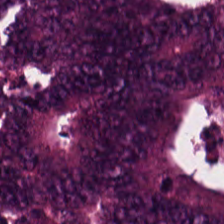H&E — tumor epithelium.
